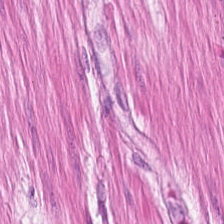Predominantly muscularis.
